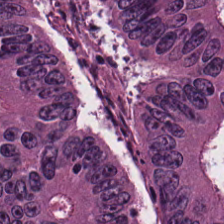H&E stain.
Showing colorectal adenocarcinoma epithelium.
